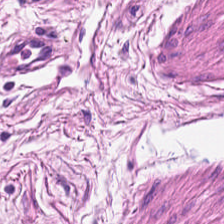Stain: H&E stain.
Classification: smooth-muscle tissue.
